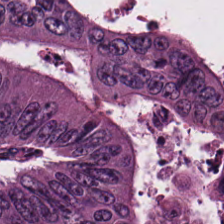Brightfield microscopy. H&E stain. Q: What is shown here?
A: Colorectal adenocarcinoma epithelium.
